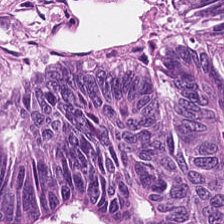Hematoxylin-and-eosin stained section — {"tissue_type": "tumor epithelium"}
